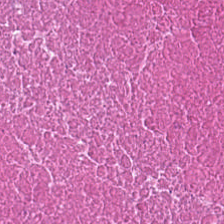Histology → necrotic debris.
